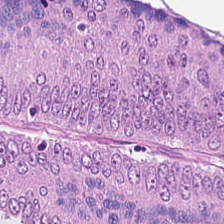Hematoxylin and eosin · FFPE · brightfield microscopy. Q: What is the predominant tissue type?
A: This is colorectal adenocarcinoma epithelium.
